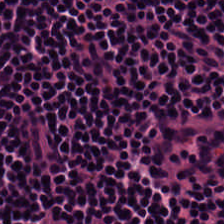H&E-stained tissue section showing lymphocyte aggregate.
